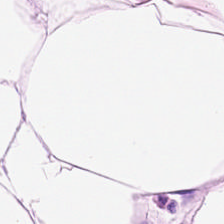H&E-stained tissue section. FFPE — {"tissue_type": "adipose"}
